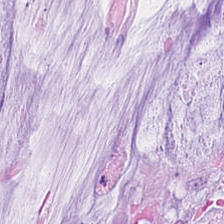Tissue: mucin.
